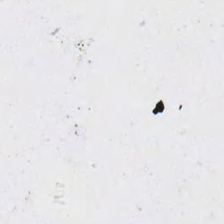Stain: hematoxylin and eosin.
Content: empty background.
